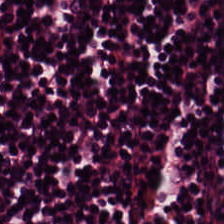H&E-stained tissue section. Lymphocytic infiltrate.
